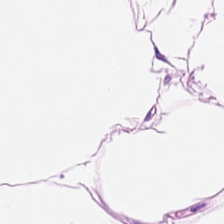Hematoxylin and eosin. Showing adipose tissue.
